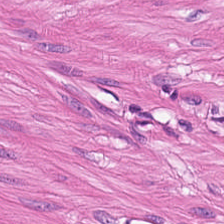H&E stain. This patch shows muscularis.
